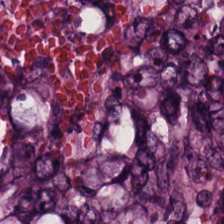224×224 px tile; hematoxylin-and-eosin stained section — The tissue is tumor epithelium.
